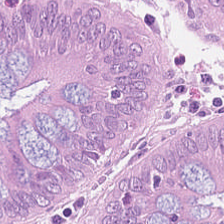H&E-stained tissue section — This patch shows benign colonic mucosa.
